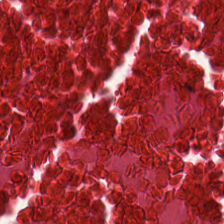FFPE · hematoxylin-and-eosin stained section. Predominantly debris.
